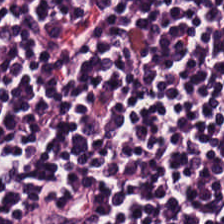H&E — Q: What does this patch show?
A: This is lymphocyte aggregate.
